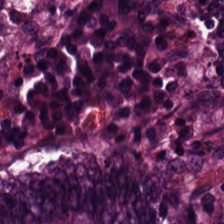FFPE; hematoxylin and eosin — Tissue type — colorectal adenocarcinoma.
